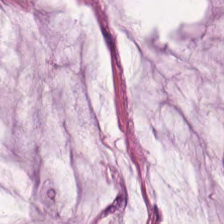H&E-stained tissue section · whole-slide-image patch · 224×224 pixel tile. Extracellular mucin.
